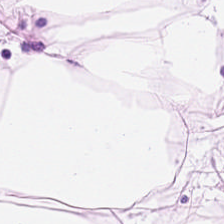Predominant tissue — adipose.
